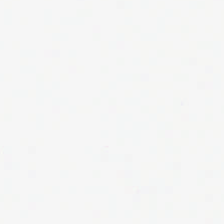Stain: H&E-stained tissue section.
Classification: background.
